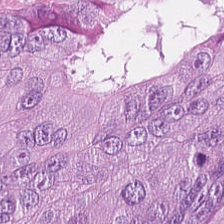H&E-stained tissue section.
Impression — tumor epithelium.
